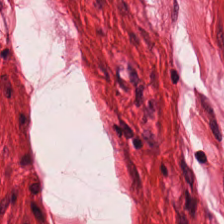Histology → smooth-muscle tissue.
